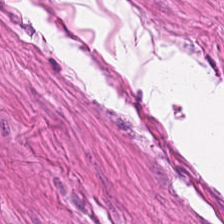Hematoxylin and eosin. Predominant tissue = muscularis.
